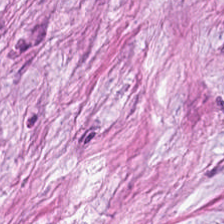H&E stain. Predominantly cancer-associated stroma.
